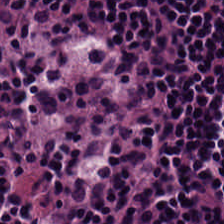0.5 µm/px. Hematoxylin and eosin. Brightfield — Predominant tissue: lymphocytic infiltrate.
